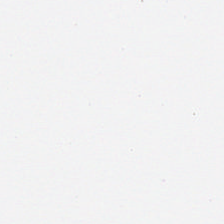H&E · formalin-fixed paraffin-embedded section · brightfield microscopy. No tissue present; background only.
